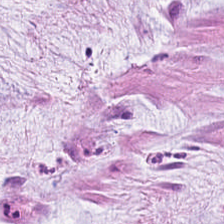H&E. Extracellular mucin.
